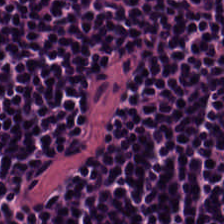Brightfield microscopy; H&E-stained tissue section — This patch shows lymphoid infiltrate.
